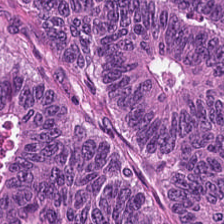224×224 pixel tile; H&E.
Tissue class = malignant epithelium.
